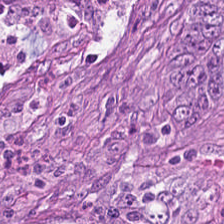H&E.
The tissue here is malignant epithelium.
